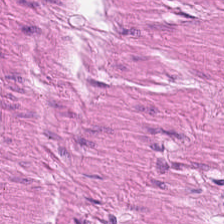Q: Classify this patch.
A: This is smooth-muscle tissue.
